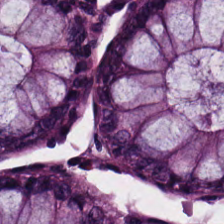Stain: H&E.
Tissue type: non-neoplastic colon mucosa.
